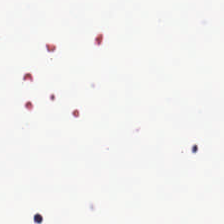Hematoxylin and eosin.
No tissue.
